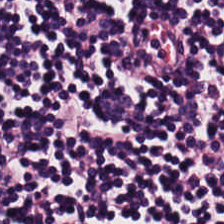H&E. FFPE. Predominantly lymphocyte aggregate.
